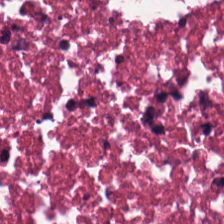0.5 µm per pixel · H&E-stained tissue section — Q: What does this patch show?
A: The field shows cellular debris.
